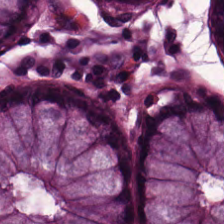WSI patch; 0.5 microns per pixel; hematoxylin and eosin.
The predominant tissue is non-neoplastic colon mucosa.
